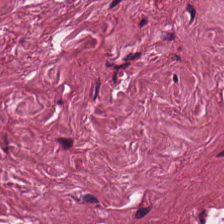Hematoxylin and eosin. Tissue class = tumor stroma.
